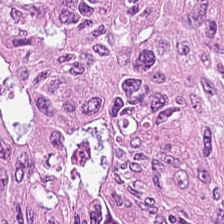224×224 px patch; H&E — Histology → malignant epithelium.
